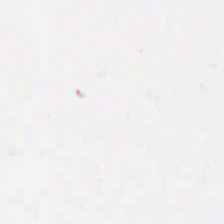H&E. Background — no tissue in this field.
